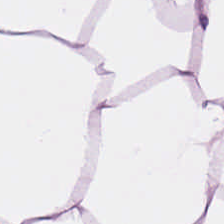Hematoxylin and eosin. Classification — adipose tissue.
